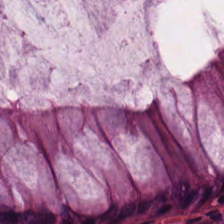H&E-stained tissue section — Q: What is shown in this field?
A: The field shows normal colon mucosa.
